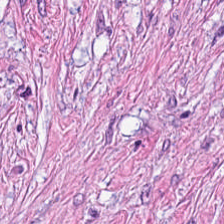H&E stain — Showing tumor stroma.
